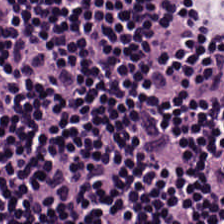Hematoxylin and eosin. Brightfield microscopy. Q: What type of tissue is this?
A: The field shows lymphocytes.
